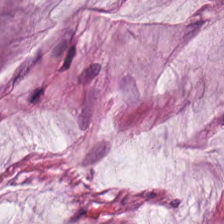224×224 px tile · H&E · WSI patch.
Tissue class: mucin.
